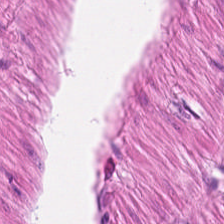Hematoxylin and eosin · 0.5 µm per pixel — This patch shows smooth-muscle tissue.
